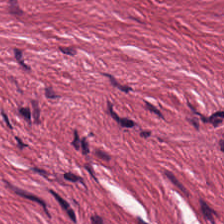Histology → desmoplastic stroma.
